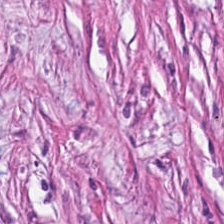H&E-stained tissue section.
Histology — cancer-associated stroma.
